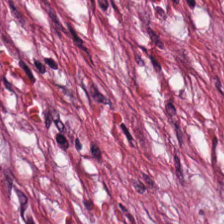Hematoxylin-and-eosin stained section · 224×224 px tile · FFPE — The tissue here is tumor-associated stroma.
